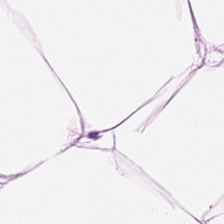Hematoxylin-and-eosin stained section; FFPE tissue section.
Tissue type: adipose.
